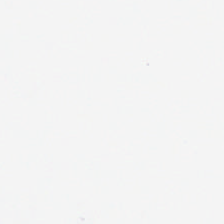H&E. Q: Classify this patch.
A: This is background.
